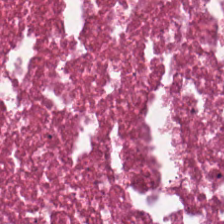H&E stain · FFPE tissue section — Classification = cellular debris.
